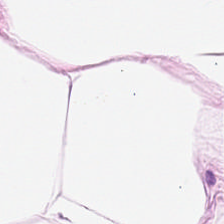H&E — The predominant tissue is adipocytes.
